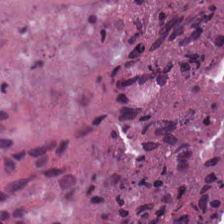H&E — Q: What is the predominant tissue type?
A: It is debris.
